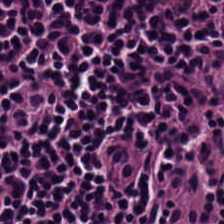This field is lymphocytes.
